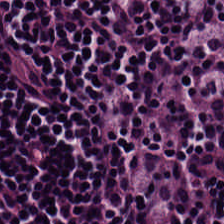H&E. 224×224 pixel tile — Predominant tissue — lymphocytic infiltrate.
